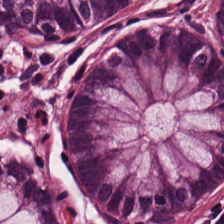WSI patch · H&E.
This patch shows non-neoplastic colon mucosa.
